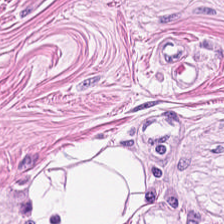H&E stain. Finding — muscularis.
